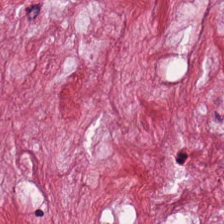Hematoxylin and eosin.
Q: What is shown here?
A: The field shows desmoplastic stroma.
